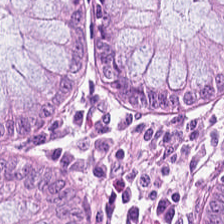H&E-stained tissue section. Predominantly non-neoplastic colon mucosa.
